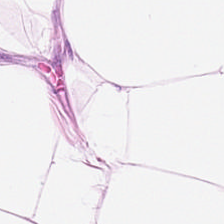Hematoxylin-and-eosin section: adipocytes.
